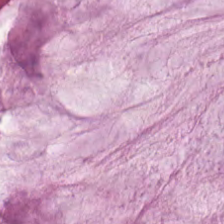H&E-stained tissue section.
Q: What is the predominant tissue type?
A: It is extracellular mucin.
